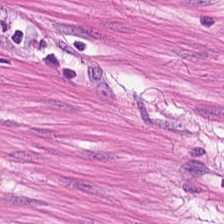Showing smooth muscle.
